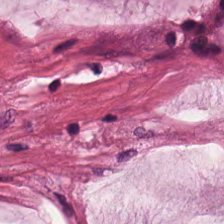This patch shows mucus.
